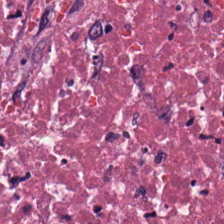0.5 µm per pixel. FFPE. H&E stain.
Q: What tissue type is shown here?
A: Cellular debris.
